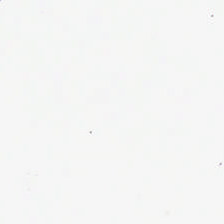Stain: hematoxylin and eosin.
Field content: empty background.
